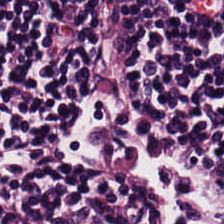H&E-stained tissue section. 0.5 microns per pixel. The predominant tissue is lymphocyte aggregate.
